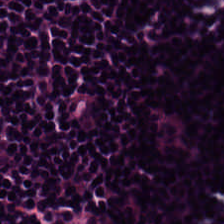Whole-slide-image patch · H&E stain. Q: What tissue is shown?
A: This is lymphocytic infiltrate.
